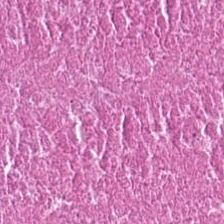H&E-stained tissue section showing cellular debris.
